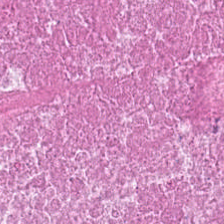224×224 px tile · hematoxylin-and-eosin stained section.
Predominant tissue: necrotic debris.
